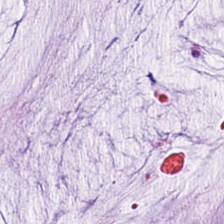Impression → extracellular mucin.
